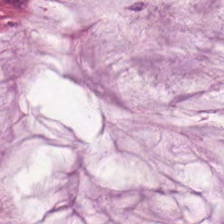20× equivalent magnification · hematoxylin and eosin · formalin-fixed paraffin-embedded section. Q: What does this patch show?
A: The field shows mucus.
